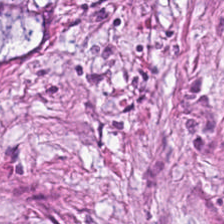Predominantly desmoplastic stroma.
